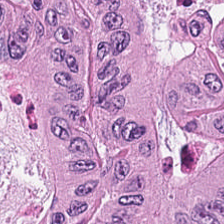H&E-stained section; the field shows malignant epithelium.
